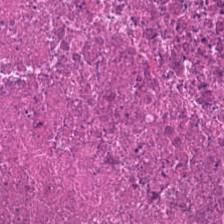Hematoxylin-and-eosin stained section. Brightfield. 224×224 px patch.
This patch shows debris.
